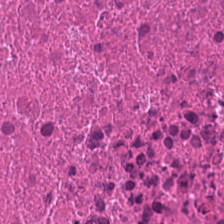The tissue class is necrotic debris.
